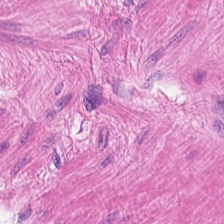Brightfield · 224×224 px tile · H&E stain. Tissue = smooth-muscle tissue.
